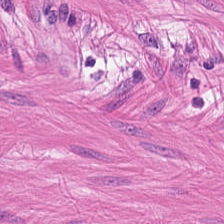Histology → smooth muscle.
